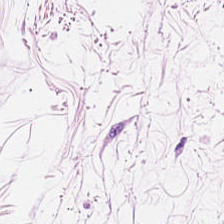224×224 px patch; hematoxylin and eosin. Adipose tissue.
